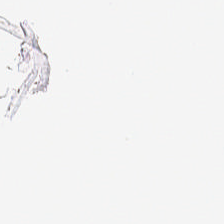Content: background.
